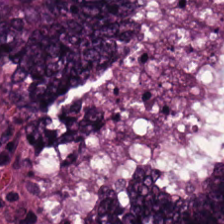H&E — colorectal adenocarcinoma epithelium.
